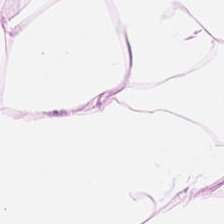H&E — adipose tissue.
